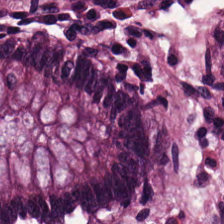H&E-stained tissue section. Brightfield microscopy.
Impression → non-neoplastic colon mucosa.
